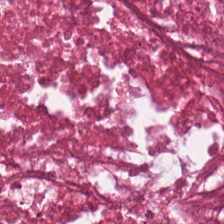Hematoxylin and eosin. 0.5 microns per pixel. 224×224 px tile. {"tissue_type": "necrotic debris"}
